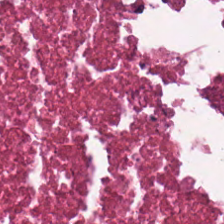H&E stain — Tissue class = cellular debris.
